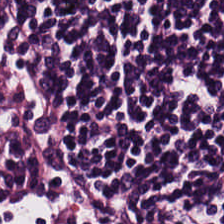H&E.
Tissue = lymphocyte aggregate.
